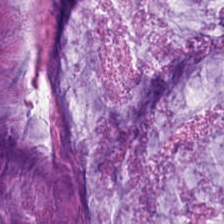Q: What is the predominant tissue type?
A: The field shows extracellular mucin.
